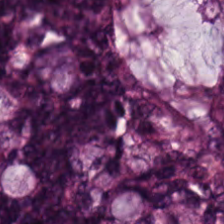H&E-stained tissue section showing tumor epithelium.
